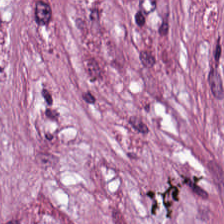Hematoxylin-and-eosin stained section.
The tissue here is tumor-associated stroma.
